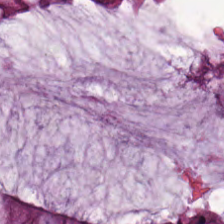Q: Classify this patch.
A: This is non-neoplastic colon mucosa.
